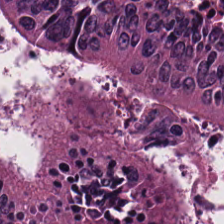Brightfield microscopy · hematoxylin-and-eosin stained section. Tissue type: malignant epithelium.
